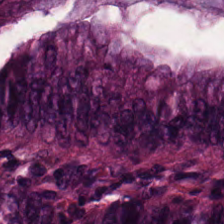Tissue = malignant epithelium.
